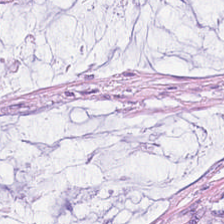FFPE tissue section; H&E — The predominant tissue is mucus.
